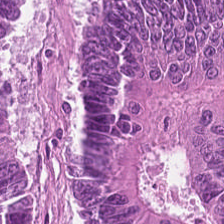224×224 px patch. H&E stain — The tissue here is adenocarcinoma.
